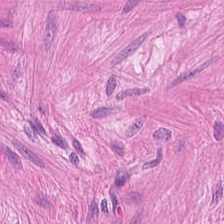Brightfield microscopy · hematoxylin-and-eosin stained section — Finding — smooth-muscle tissue.
